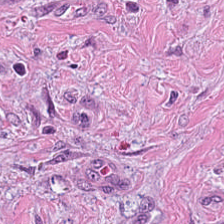H&E-stained tissue section. 224×224 px tile. Predominant tissue = tumor stroma.
